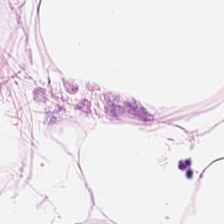Whole-slide-image patch; H&E-stained tissue section; FFPE tissue section. Predominantly adipose tissue.
